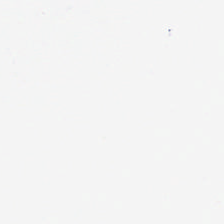WSI patch; H&E. This field is background (no tissue).
